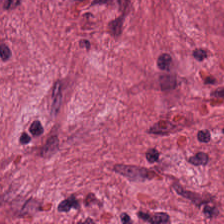Tissue class = cancer-associated stroma.
